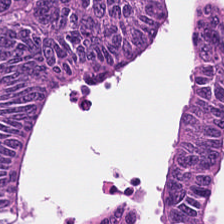H&E-stained tissue section. The predominant tissue is tumor epithelium.
